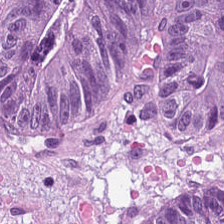H&E-stained tissue section.
{"tissue_type": "tumor epithelium"}
